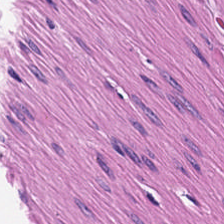H&E.
Q: What is shown in this field?
A: Muscularis.
